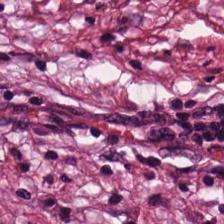H&E-stained tissue section — Q: What does this patch show?
A: The field shows tumor-associated stroma.
